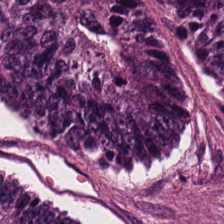Q: What does this patch show?
A: This is malignant epithelium.
